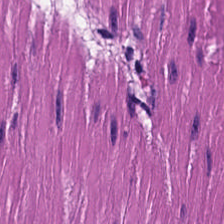Hematoxylin and eosin. This field is smooth-muscle tissue.
